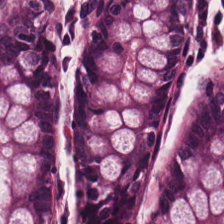Hematoxylin and eosin. {"tissue_type": "normal colonic mucosa"}
